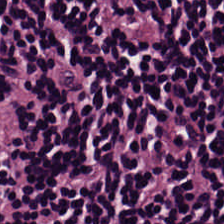H&E · 224×224 px tile. Finding → lymphocyte aggregate.
